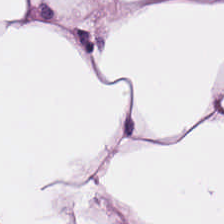224×224 px patch · hematoxylin and eosin · brightfield microscopy — Showing fat tissue.
